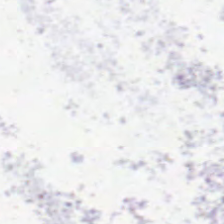Background.
